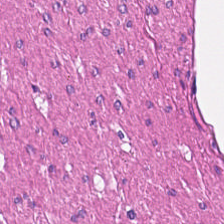Stain: H&E-stained tissue section.
Tissue type: muscularis.
